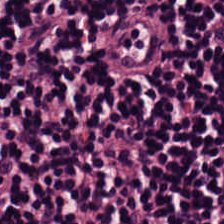Hematoxylin and eosin. Classification: lymphocytic infiltrate.
